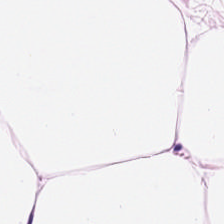H&E.
Tissue: adipose tissue.
